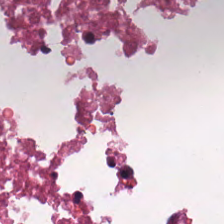H&E stain.
Debris.
